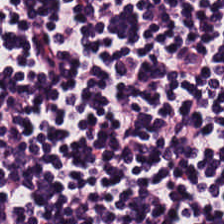H&E-stained tissue section. This patch shows lymphocytes.
